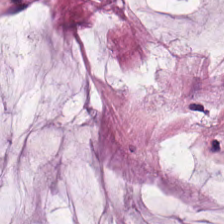Hematoxylin and eosin. WSI patch.
{"tissue_type": "mucus"}
